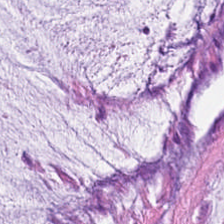20× equivalent magnification; H&E stain. Histology → extracellular mucin.
